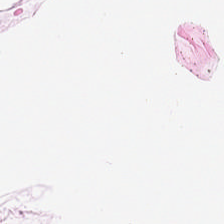Hematoxylin-and-eosin stained section — The tissue here is adipose.
